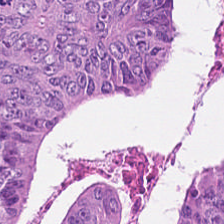224×224 px patch · 0.5 µm/px · hematoxylin-and-eosin stained section.
Tumor epithelium.
